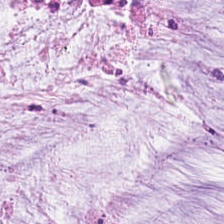H&E — {"tissue_type": "mucin"}
